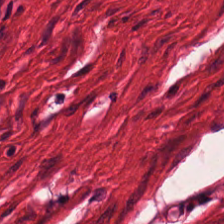H&E-stained tissue section; 0.5 microns per pixel.
Impression — muscularis.
